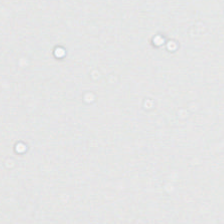Hematoxylin-and-eosin stained section; WSI patch. Finding — background (no tissue).
